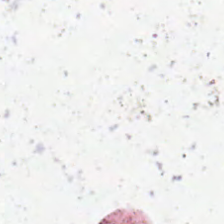Brightfield; hematoxylin and eosin; 224×224 pixel tile.
Classification = no tissue.
